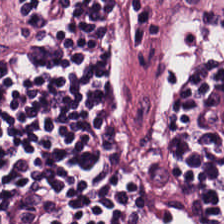H&E-stained tissue section — Tissue type — lymphoid infiltrate.
